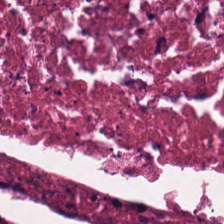H&E stain. FFPE.
Cellular debris.
